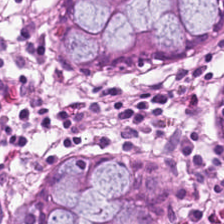H&E-stained tissue section; brightfield; FFPE tissue section — The predominant tissue is benign colonic mucosa.
